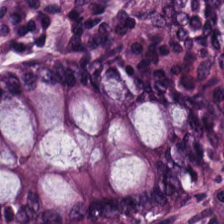Whole-slide-image patch · H&E-stained tissue section.
The tissue here is normal colon mucosa.
